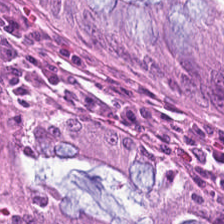{"tissue_type": "normal colon mucosa"}
